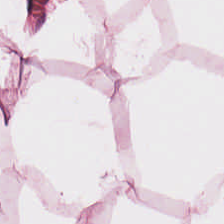Hematoxylin-and-eosin stained section — Showing adipose tissue.
